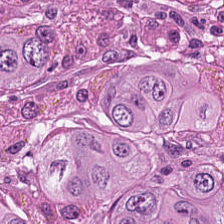Tissue type: malignant epithelium.
